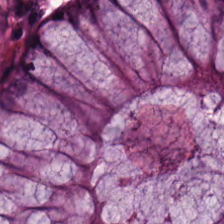Tissue type — normal colon mucosa.
